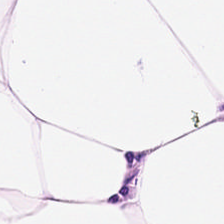Formalin-fixed paraffin-embedded section. H&E — The predominant tissue is adipose.
